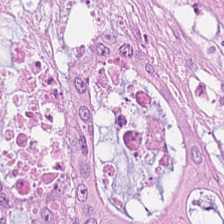H&E-stained tissue section.
This field is colorectal adenocarcinoma.
